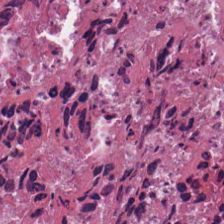{"tissue_type": "necrotic debris"}
